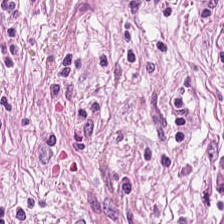H&E-stained tissue section.
This patch shows tumor stroma.
